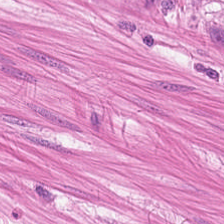Q: What is the predominant tissue type?
A: The field shows smooth-muscle tissue.
